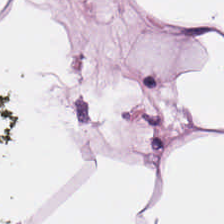Hematoxylin and eosin.
This field is adipocytes.
